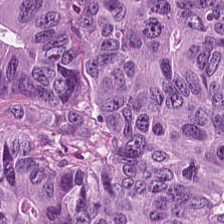Hematoxylin-and-eosin stained section.
This field is malignant epithelium.
